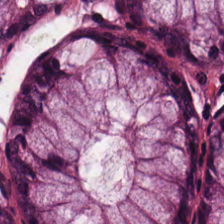Q: What is shown here?
A: This is non-neoplastic colon mucosa.
